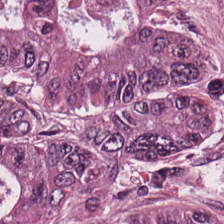Tissue type — tumor epithelium.
